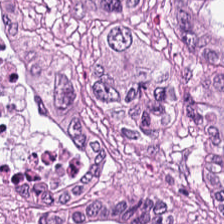Hematoxylin and eosin — Showing colorectal adenocarcinoma.
